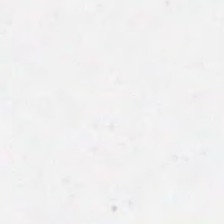H&E — Background (no tissue).
